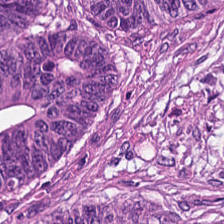The classification is colorectal adenocarcinoma epithelium.
